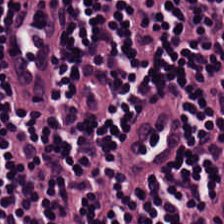H&E-stained tissue section. 224×224 px patch.
Q: Identify the tissue.
A: The field shows lymphocyte aggregate.
